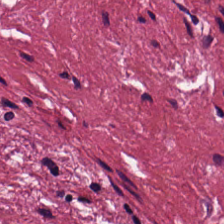H&E stain.
Histology → desmoplastic stroma.
